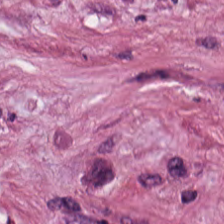Hematoxylin-and-eosin stained section — This field is cancer-associated stroma.
